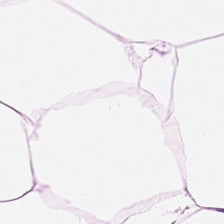Whole-slide-image patch. H&E-stained tissue section.
The predominant tissue is adipocytes.
